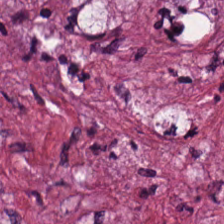Histology → tumor stroma.
